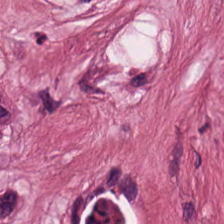H&E.
Showing tumor stroma.
